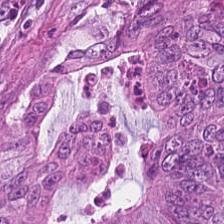H&E-stained tissue section.
The tissue here is colorectal adenocarcinoma.
